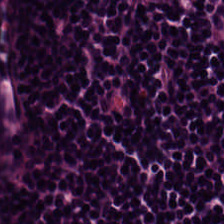H&E-stained tissue section.
Tissue — lymphocytic infiltrate.
